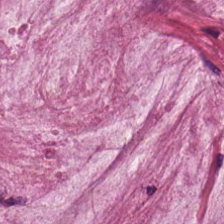Hematoxylin and eosin; brightfield microscopy.
Classification: mucin.
